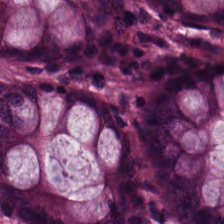The classification is benign colonic mucosa.
